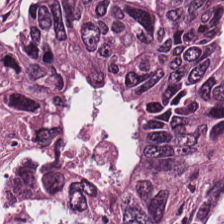H&E stain — Showing malignant epithelium.
